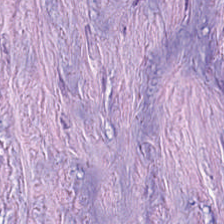Hematoxylin and eosin — The predominant tissue is desmoplastic stroma.
